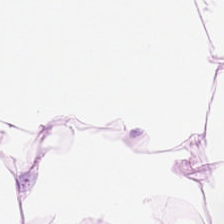Hematoxylin and eosin. Finding → fat tissue.
